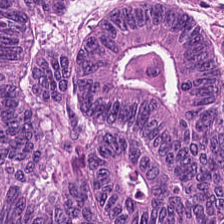H&E-stained tissue section — This patch shows malignant epithelium.
